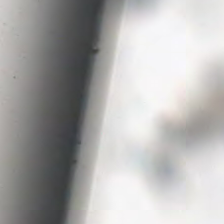The field content is no tissue.
